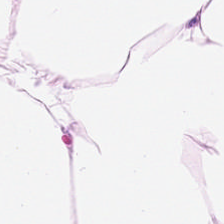Stain: hematoxylin and eosin.
Predominant tissue: adipocytes.
